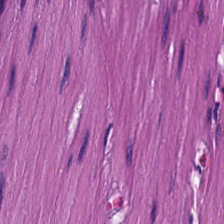Q: Identify the tissue.
A: This is muscularis.
